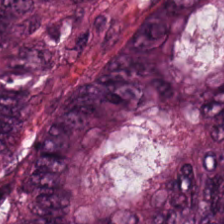Extracellular mucin.
